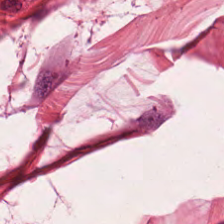Q: What tissue is shown?
A: Smooth muscle.
